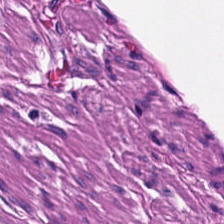Stain: H&E.
Classification: smooth muscle.
